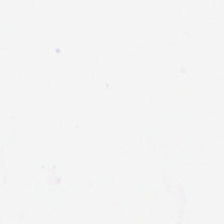Classification — empty background.
